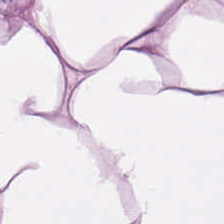H&E-stained tissue section — Predominantly adipocytes.
